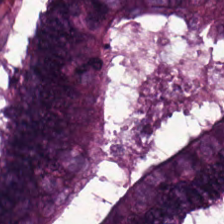FFPE; hematoxylin-and-eosin stained section — Q: What is shown in this field?
A: The field shows colorectal adenocarcinoma epithelium.
